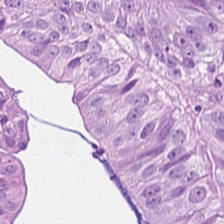0.5 µm per pixel; hematoxylin and eosin.
The tissue here is malignant epithelium.
